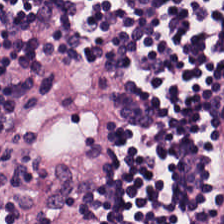H&E — Q: Classify this patch.
A: This is lymphocytic infiltrate.
